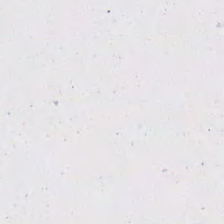Stain: hematoxylin-and-eosin stained section.
Tile size: 224×224 px tile.
Field content: background (no tissue).
